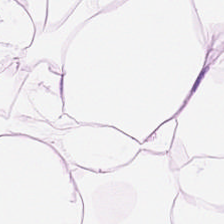Brightfield microscopy. H&E-stained tissue section. Tissue = adipose.
